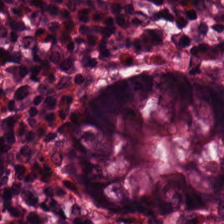Stain: hematoxylin-and-eosin stained section.
Resolution: 0.5 microns per pixel.
Acquisition: whole-slide-image patch.
Tissue class: normal colonic mucosa.
